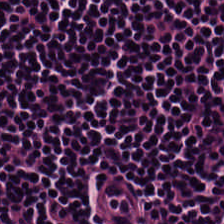Stain: hematoxylin-and-eosin stained section.
Resolution: 0.5 microns per pixel.
Predominant tissue: lymphocytic infiltrate.
